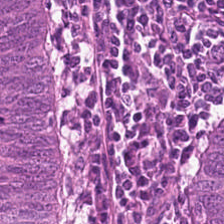224×224 px patch · H&E. Adenocarcinoma.
